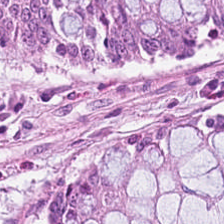Predominant tissue = benign colonic mucosa.
